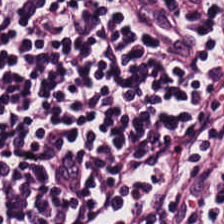H&E; 0.5 µm/px. Histology — lymphocytic infiltrate.
